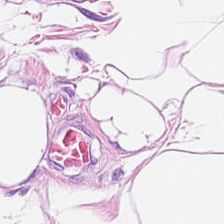Q: What tissue type is shown here?
A: It is adipose tissue.
